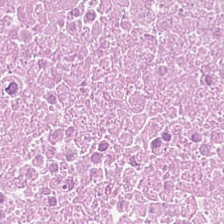Formalin-fixed paraffin-embedded section; H&E — Q: What is shown in this field?
A: Necrotic debris.
